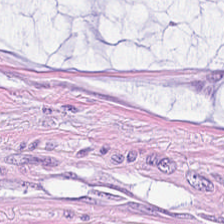H&E · 224×224 px patch — The tissue here is mucus.
